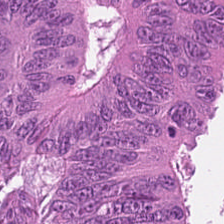Brightfield microscopy. 0.5 µm per pixel. Hematoxylin and eosin. Predominantly malignant epithelium.
